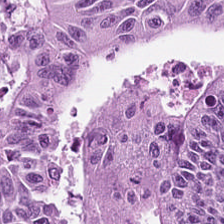H&E stain — Q: What is shown here?
A: Tumor epithelium.
